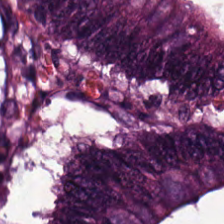Hematoxylin and eosin. {"tissue_type": "adenocarcinoma"}
